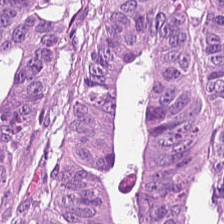Hematoxylin-and-eosin section: tumor epithelium.
